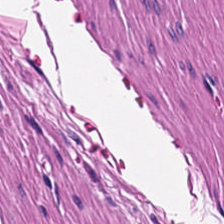Hematoxylin and eosin.
Predominantly smooth-muscle tissue.
